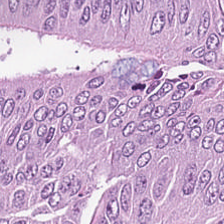H&E stain. FFPE tissue section — Q: What is the predominant tissue type?
A: The field shows colorectal adenocarcinoma.
